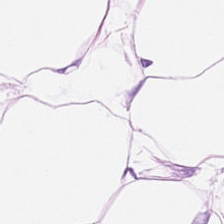H&E. FFPE. Brightfield microscopy. This field is adipocytes.
